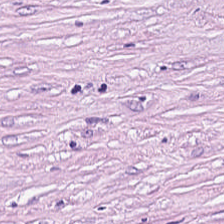The predominant tissue is tumor stroma.
